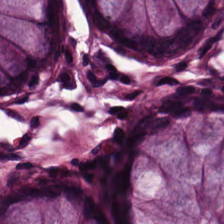The predominant tissue is normal colonic mucosa.
